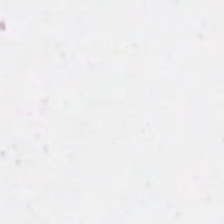Hematoxylin and eosin. Field content = background.
